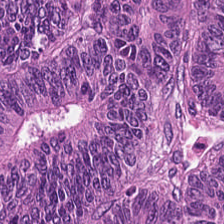H&E-stained tissue section — Showing tumor epithelium.
